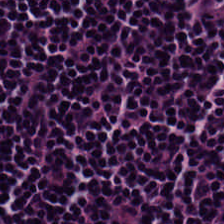H&E. Q: What is shown here?
A: The field shows lymphocytic infiltrate.
